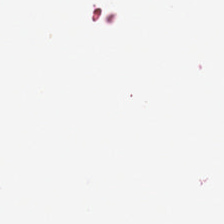H&E.
Q: What is shown in this field?
A: This is no tissue.
